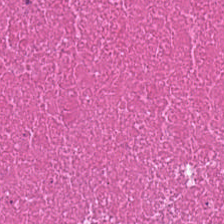H&E. 224×224 px tile.
Tissue: debris.
